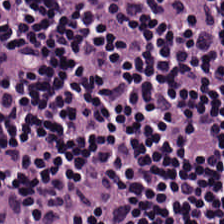Q: What is shown in this field?
A: Lymphocyte aggregate.
